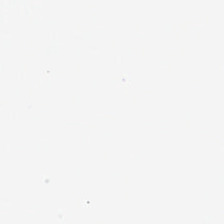Empty field — empty background.
